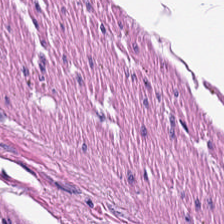Histology — smooth-muscle tissue.
